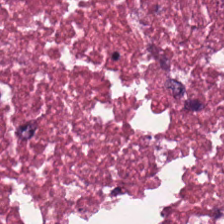H&E stain.
Tissue class: necrotic debris.
